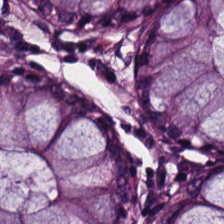Q: What is the predominant tissue type?
A: The field shows non-neoplastic colon mucosa.
